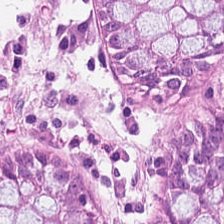H&E stain · FFPE — Classification — benign colonic mucosa.
